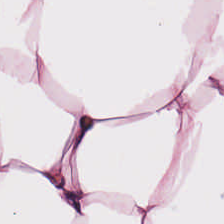FFPE · hematoxylin and eosin.
Classification = fat tissue.
